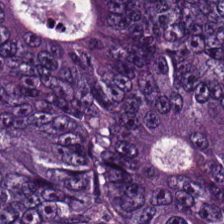Brightfield microscopy · hematoxylin-and-eosin stained section · FFPE.
The predominant tissue is tumor epithelium.
